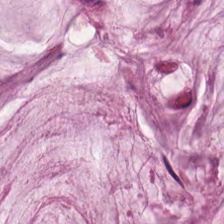Hematoxylin and eosin. This field is mucus.
